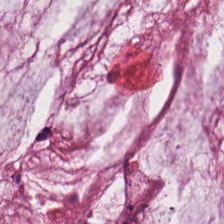Q: What is shown here?
A: Mucin.
